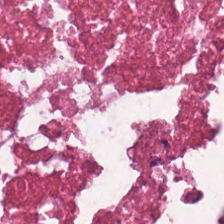H&E-stained tissue section. Predominant tissue — cellular debris.
